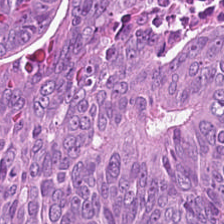H&E stain; formalin-fixed paraffin-embedded section; brightfield microscopy. The tissue here is tumor epithelium.
